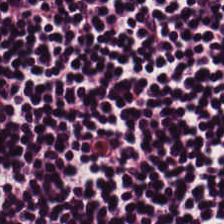Q: What is shown in this field?
A: It is lymphocytic infiltrate.
